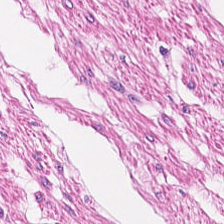H&E stain.
The predominant tissue is muscularis.
